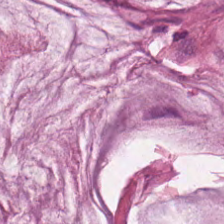H&E — extracellular mucin.
